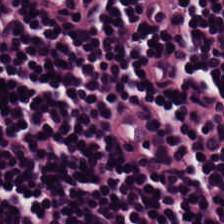H&E.
Q: Identify the tissue.
A: It is lymphocyte aggregate.
